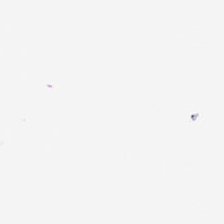H&E. Content: empty background.
